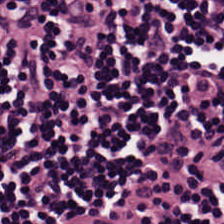H&E-stained tissue section · 0.5 microns per pixel — Classification = lymphocytic infiltrate.
